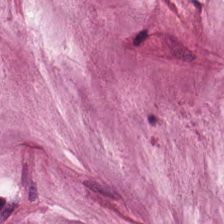The predominant tissue is extracellular mucin.
